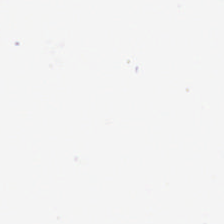WSI patch. FFPE tissue section. H&E-stained tissue section.
Histology → empty background.
